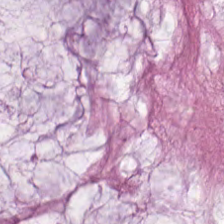H&E-stained tissue section; 224×224 px tile; whole-slide-image patch. Tissue class: mucin.
